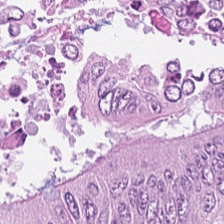H&E.
Q: What tissue is shown?
A: This is colorectal adenocarcinoma epithelium.
